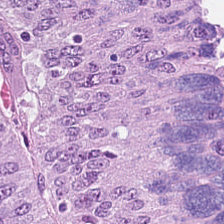Hematoxylin-and-eosin stained section. 224×224 pixel tile. Whole-slide-image patch. Tissue = malignant epithelium.
